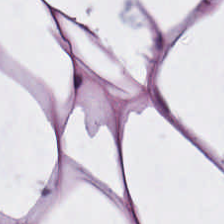Hematoxylin-and-eosin stained section. Formalin-fixed paraffin-embedded section. Brightfield.
Showing fat tissue.
